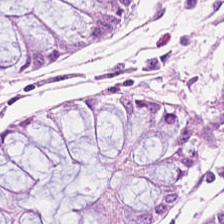Predominantly benign colonic mucosa.
